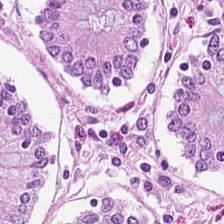Hematoxylin-and-eosin stained section. WSI patch. The tissue here is benign colonic mucosa.
